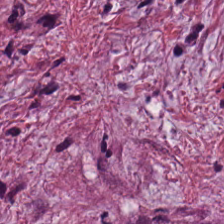H&E-stained tissue section · brightfield microscopy.
This patch shows desmoplastic stroma.
